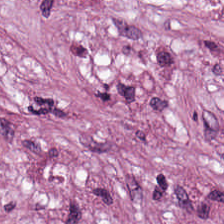Finding — cancer-associated stroma.
